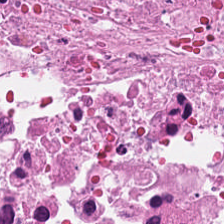FFPE tissue section. H&E stain. Tissue = cellular debris.
